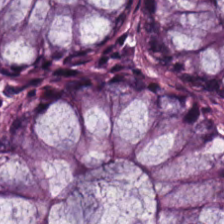Q: What tissue is shown?
A: Non-neoplastic colon mucosa.
